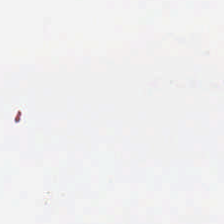Q: What does this patch show?
A: It is background (no tissue).
